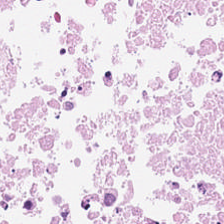H&E stain — Q: What is the predominant tissue type?
A: Necrotic debris.
